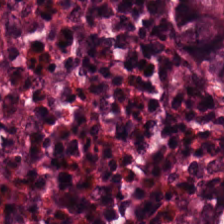20× equivalent magnification; hematoxylin and eosin. Histology → normal colon mucosa.
